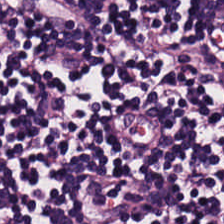Hematoxylin-and-eosin stained section.
Showing lymphocytes.
